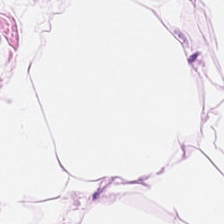Brightfield microscopy; hematoxylin and eosin. Q: What is the predominant tissue type?
A: It is adipose.
